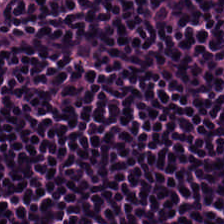H&E — {"tissue_type": "lymphocytes"}
